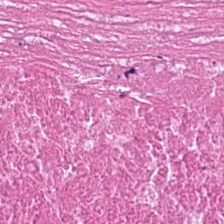224×224 pixel tile · whole-slide-image patch · hematoxylin-and-eosin stained section. This field is cellular debris.
